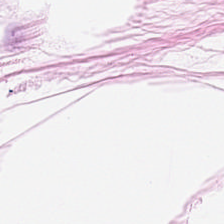Hematoxylin-and-eosin stained section · whole-slide-image patch. Tissue class — fat tissue.
